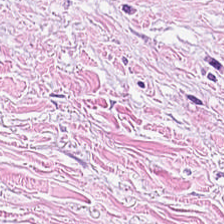224×224 px patch · H&E stain. Tissue type — tumor-associated stroma.
